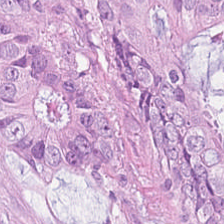FFPE · H&E stain.
Finding — colorectal adenocarcinoma.
